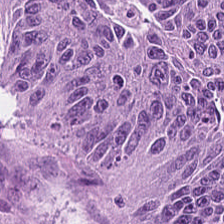Colorectal adenocarcinoma epithelium.
